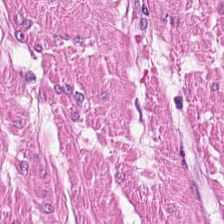FFPE. H&E — The classification is smooth-muscle tissue.
